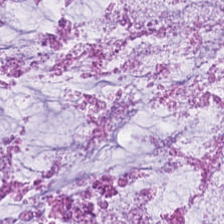Stain: hematoxylin-and-eosin stained section.
Tissue class: extracellular mucin.
